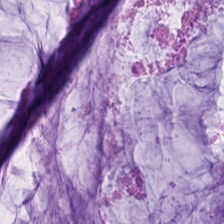H&E-stained tissue section; 0.5 microns per pixel — The tissue here is mucin.
